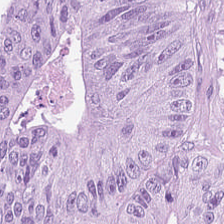Showing malignant epithelium.
